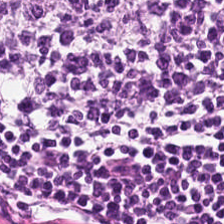H&E stain — The tissue here is lymphocytic infiltrate.
